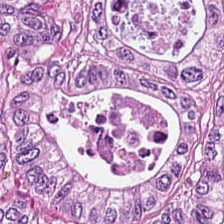H&E stain. Finding → colorectal adenocarcinoma.
